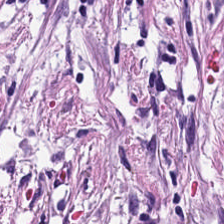The predominant tissue is tumor stroma.
